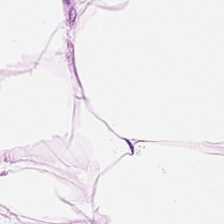WSI patch; 0.5 microns per pixel; H&E-stained tissue section. This field is adipose tissue.
